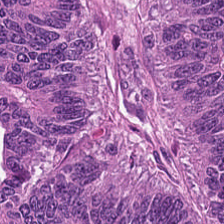This patch shows adenocarcinoma.
